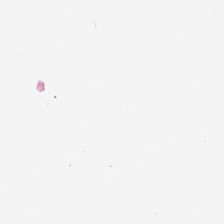No tissue present; background only.
